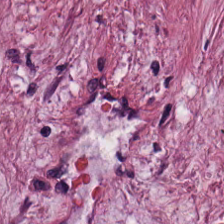H&E-stained tissue section.
This patch shows cancer-associated stroma.
